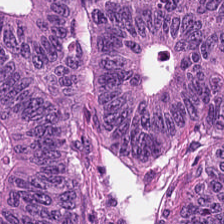Hematoxylin-and-eosin stained section.
Tissue — colorectal adenocarcinoma epithelium.
